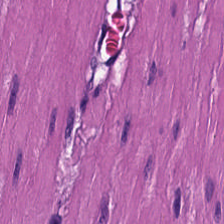Hematoxylin and eosin — Tissue type — muscularis.
